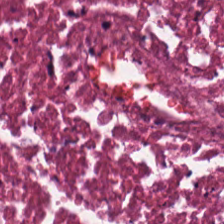0.5 µm/px · H&E stain · formalin-fixed paraffin-embedded section. Q: What does this patch show?
A: It is necrotic debris.
